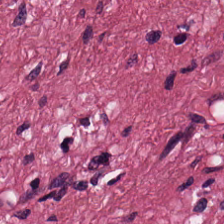H&E.
Showing tumor stroma.
